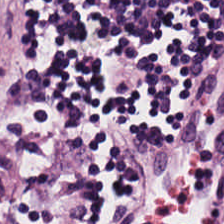H&E — lymphocyte aggregate.
